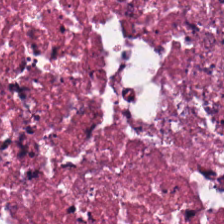Hematoxylin and eosin — Classification — necrotic debris.
